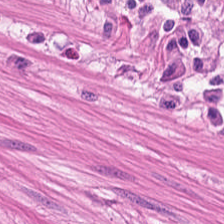224×224 pixel tile; H&E-stained tissue section.
Q: What is shown here?
A: It is muscularis.
